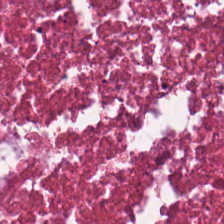Predominantly debris.
